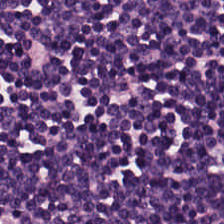Hematoxylin-and-eosin stained section.
The tissue here is lymphoid infiltrate.
